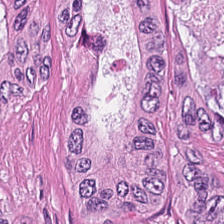H&E stain; 0.5 µm per pixel; 224×224 pixel tile — This patch shows adenocarcinoma.
